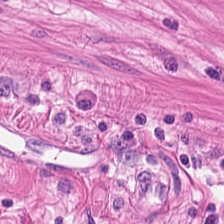Hematoxylin and eosin.
Classification: smooth-muscle tissue.
